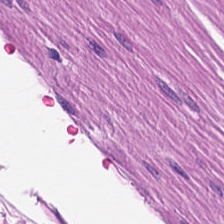Stain: H&E stain.
Tile size: 224×224 px tile.
Resolution: 0.5 microns per pixel.
Classification: smooth-muscle tissue.
